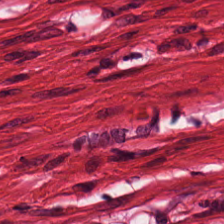H&E-stained tissue section. Q: What does this patch show?
A: It is smooth muscle.
